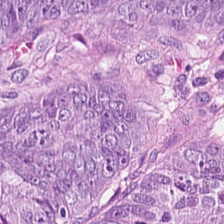H&E-stained tissue section; WSI patch; 224×224 px tile — Finding — tumor epithelium.
